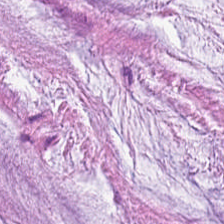H&E · formalin-fixed paraffin-embedded section · 0.5 microns per pixel.
Tissue: mucus.
